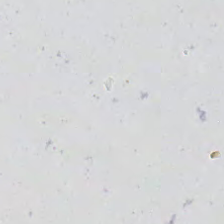Stain: hematoxylin-and-eosin stained section.
Preparation: FFPE.
Tile size: 224×224 pixel tile.
Content: background (no tissue).
